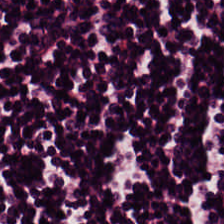Hematoxylin and eosin. Predominant tissue = lymphocytic infiltrate.
